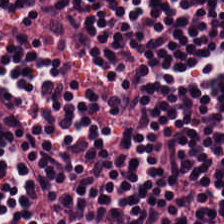Hematoxylin and eosin. Classification — lymphoid infiltrate.
